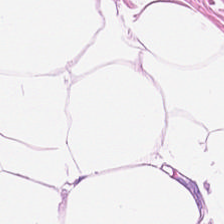Hematoxylin and eosin — Q: What tissue type is shown here?
A: It is adipocytes.
